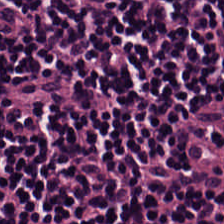224×224 px tile. 0.5 µm/px. Hematoxylin and eosin. The predominant tissue is lymphocytes.
